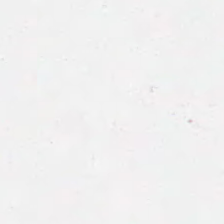FFPE. Hematoxylin and eosin. Background (no tissue).
